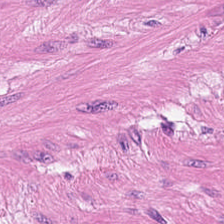Stain: H&E stain.
Resolution: 0.5 µm/px.
Acquisition: whole-slide-image patch.
Predominant tissue: smooth-muscle tissue.
